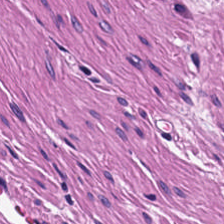Stain: hematoxylin-and-eosin stained section.
Tissue: smooth muscle.
